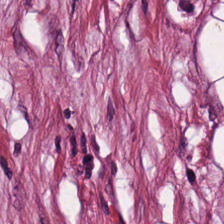Hematoxylin-and-eosin section: cancer-associated stroma.
